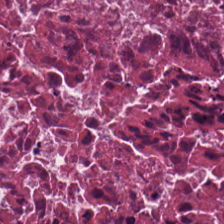The classification is debris.
